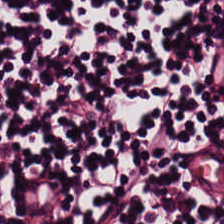Stain: H&E stain.
Preparation: formalin-fixed paraffin-embedded section.
Tile size: 224×224 px tile.
Tissue: lymphocytes.
